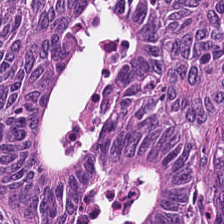Hematoxylin-and-eosin stained section — Q: Identify the tissue.
A: The field shows malignant epithelium.
